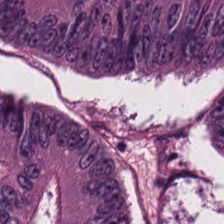H&E. Whole-slide-image patch. FFPE — {"tissue_type": "tumor epithelium"}
